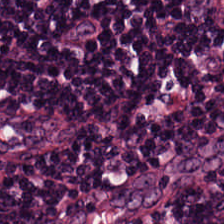This patch shows lymphoid infiltrate.
